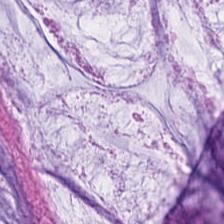Hematoxylin-and-eosin stained section · brightfield microscopy.
Impression → extracellular mucin.
